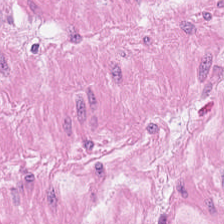H&E stain.
Q: What is the predominant tissue type?
A: The field shows smooth muscle.
